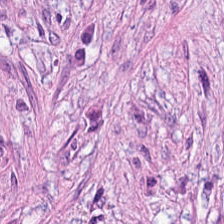H&E-stained section; the field shows tumor stroma.
